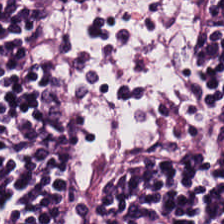H&E stain.
Predominantly lymphocytic infiltrate.
